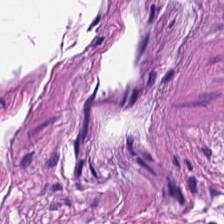Hematoxylin and eosin — Showing muscularis.
